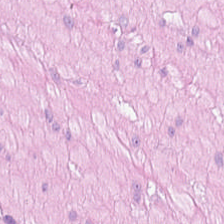224×224 pixel tile. H&E-stained tissue section. 0.5 µm/px. This patch shows muscularis.
